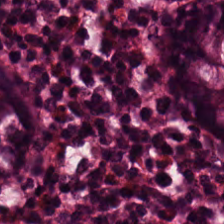224×224 pixel tile. Hematoxylin-and-eosin stained section — Q: What tissue is shown?
A: Non-neoplastic colon mucosa.
